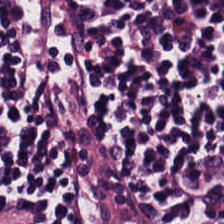Hematoxylin-and-eosin stained section.
The tissue here is lymphocyte aggregate.
